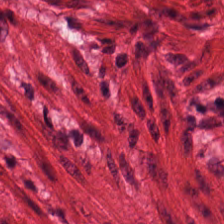0.5 microns per pixel; hematoxylin and eosin.
This field is smooth muscle.
